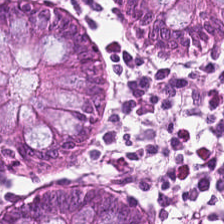Tissue — normal colonic mucosa.
